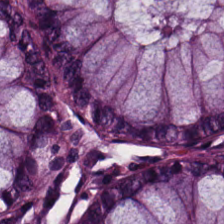H&E-stained tissue section.
Predominantly normal colon mucosa.
